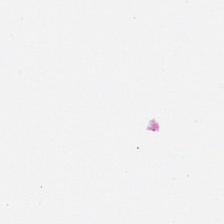H&E — Q: Classify this patch.
A: Background (no tissue).
